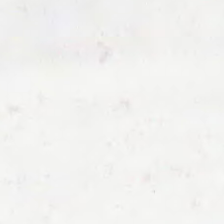H&E stain; 20× equivalent magnification; 224×224 pixel tile. Classification — empty background.
